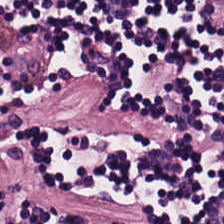Stain: H&E.
Acquisition: brightfield microscopy.
Tile size: 224×224 px patch.
Tissue type: lymphocytes.
